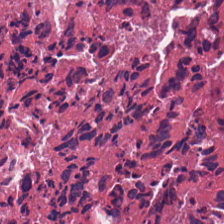Hematoxylin-and-eosin stained section · brightfield. The tissue is cellular debris.
